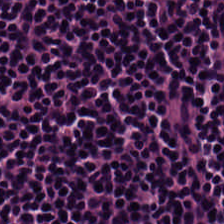This patch shows lymphocytic infiltrate.
